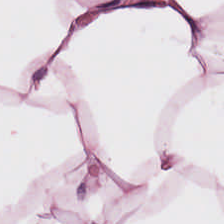Tissue type: fat tissue.
